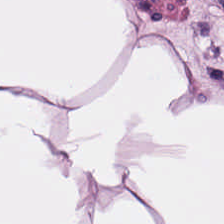224×224 px tile; FFPE; hematoxylin-and-eosin stained section — This patch shows adipose tissue.
